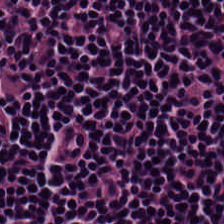224×224 pixel tile. H&E-stained tissue section. Predominantly lymphoid infiltrate.
